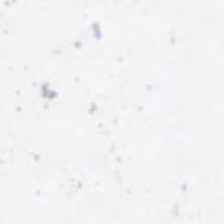H&E stain.
Background (no tissue).
